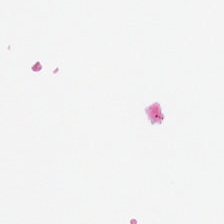Hematoxylin-and-eosin stained section.
{"content": "background"}
